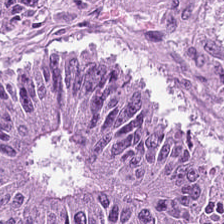Brightfield microscopy; FFPE; H&E stain.
Tissue: colorectal adenocarcinoma.
